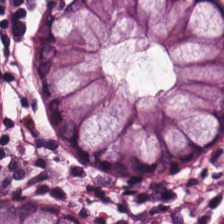H&E; 224×224 px patch; 0.5 microns per pixel.
Normal colonic mucosa.
